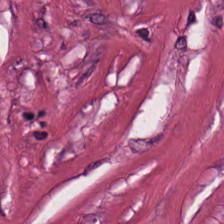Impression → desmoplastic stroma.
